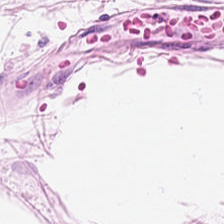Tissue = adipocytes.
